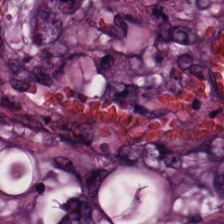H&E-stained tissue section showing colorectal adenocarcinoma.
